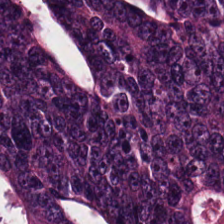Hematoxylin-and-eosin stained section. The tissue is adenocarcinoma.
